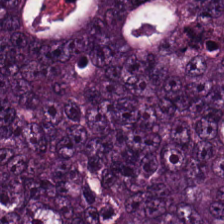Hematoxylin-and-eosin stained section — Tissue: adenocarcinoma.
